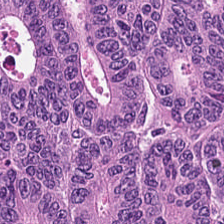The classification is tumor epithelium.
